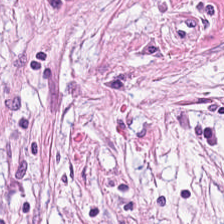224×224 pixel tile · hematoxylin-and-eosin stained section. Classification: desmoplastic stroma.
